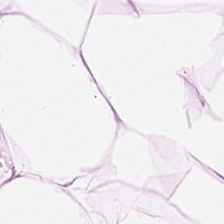Stain: H&E stain.
Tissue class: adipose tissue.
